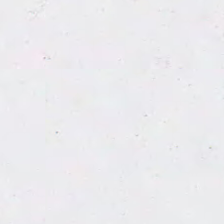H&E stain. This field is background (no tissue).
